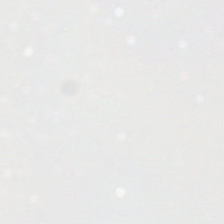H&E stain. This field is background (no tissue).
